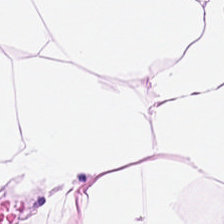Hematoxylin and eosin; WSI patch — Tissue type = fat tissue.
